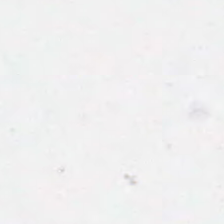Q: What is shown here?
A: It is background (no tissue).
